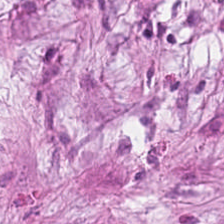224×224 px tile; H&E-stained tissue section.
{"tissue_type": "desmoplastic stroma"}
